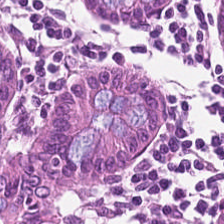FFPE · hematoxylin-and-eosin stained section.
The predominant tissue is benign colonic mucosa.
